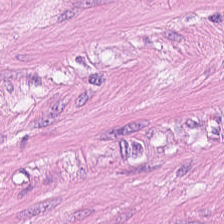Hematoxylin and eosin — Smooth-muscle tissue.
